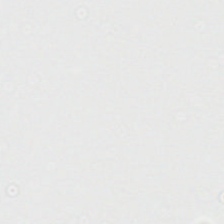H&E stain.
The field content is background (no tissue).
